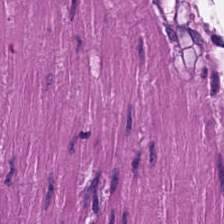Stain: hematoxylin and eosin.
Resolution: 20× equivalent magnification.
Preparation: formalin-fixed paraffin-embedded section.
Tissue type: muscularis.
